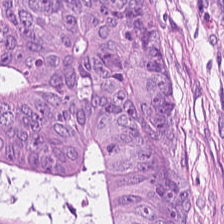H&E-stained tissue section.
Showing adenocarcinoma.
